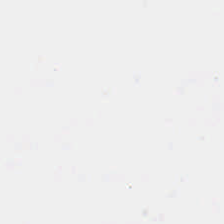Hematoxylin-and-eosin stained section. Whole-slide-image patch — This patch shows no tissue.
